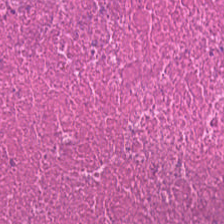Q: What does this patch show?
A: This is debris.
